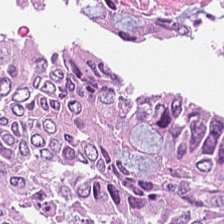H&E stain. Q: What is shown here?
A: The field shows colorectal adenocarcinoma.
